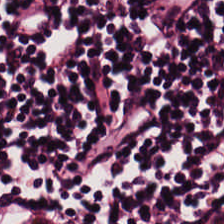H&E; 224×224 pixel tile.
Lymphoid infiltrate.
